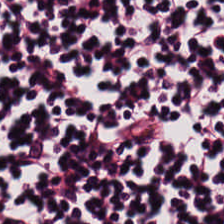This patch shows lymphocytic infiltrate.
